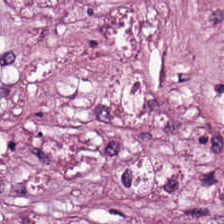H&E-stained tissue section. Histology → tumor stroma.
